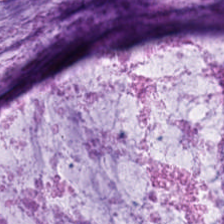H&E. Extracellular mucin.
